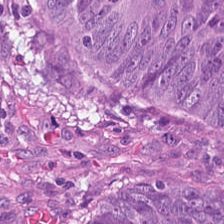Stain: H&E stain.
Predominant tissue: tumor epithelium.
